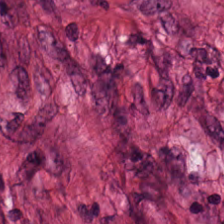Hematoxylin and eosin.
This patch shows desmoplastic stroma.
